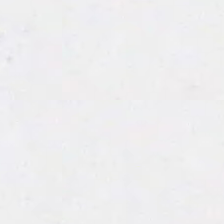Hematoxylin-and-eosin stained section. Histology → empty background.
